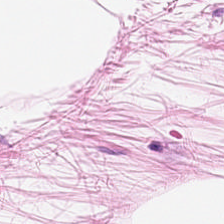Hematoxylin and eosin.
Tissue — adipose tissue.
